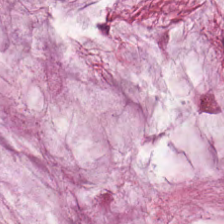0.5 µm per pixel; formalin-fixed paraffin-embedded section; hematoxylin and eosin — Showing mucus.
